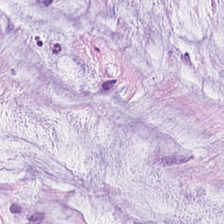Hematoxylin and eosin. 0.5 microns per pixel.
This field is mucin.
